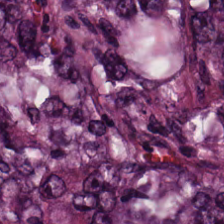20× equivalent magnification. Hematoxylin and eosin. 224×224 px patch — Predominantly colorectal adenocarcinoma epithelium.
